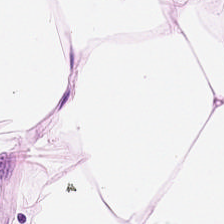Histology → adipocytes.
